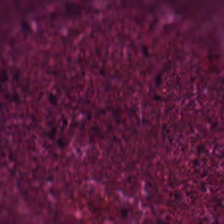Hematoxylin-and-eosin section: debris.
